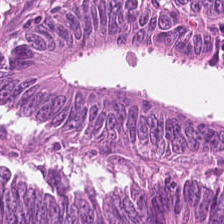H&E stain · FFPE. Finding → colorectal adenocarcinoma epithelium.
